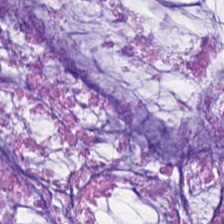Classification = mucus.
